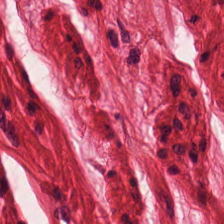Tissue: smooth-muscle tissue.
